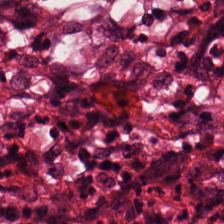Stain: H&E-stained tissue section.
Tissue: tumor stroma.
